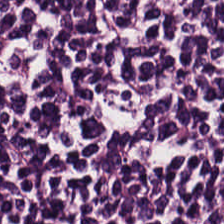H&E-stained tissue section. Whole-slide-image patch — Q: What is shown in this field?
A: This is lymphocytic infiltrate.
